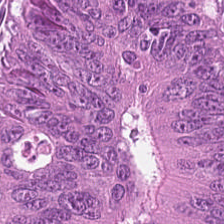H&E stain — Finding — malignant epithelium.
